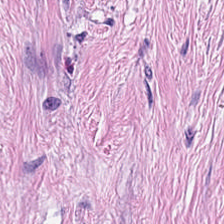Hematoxylin and eosin; FFPE tissue section; 0.5 µm/px.
This field is desmoplastic stroma.
